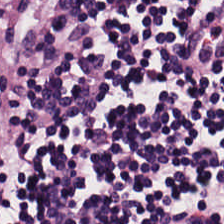H&E-stained tissue section showing lymphocyte aggregate.
